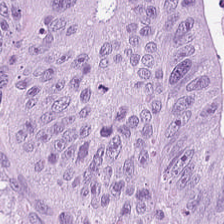Brightfield microscopy · hematoxylin-and-eosin stained section. Impression — adenocarcinoma.
